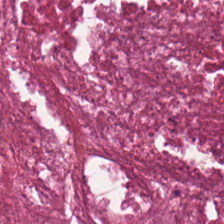Hematoxylin and eosin.
This field is necrotic debris.
